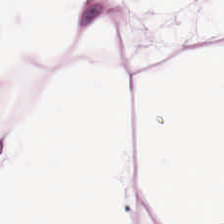224×224 px tile · H&E · formalin-fixed paraffin-embedded section.
The tissue class is adipose.
